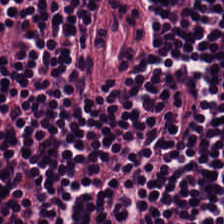Q: What is the predominant tissue type?
A: It is lymphocytic infiltrate.
